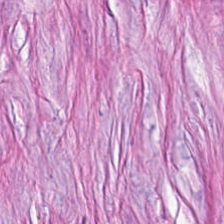H&E stain.
Showing cancer-associated stroma.
